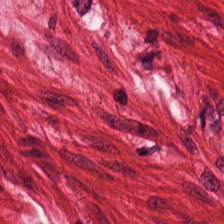Stain: hematoxylin-and-eosin stained section.
Tissue class: smooth muscle.
